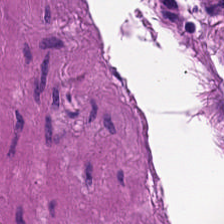Hematoxylin-and-eosin stained section · 0.5 µm per pixel — Histology → muscularis.
